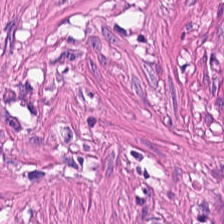Hematoxylin-and-eosin stained section; brightfield microscopy; 224×224 px tile — Predominant tissue: muscularis.
